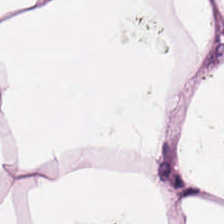0.5 µm per pixel · H&E stain — Showing adipocytes.
